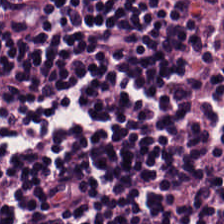FFPE. Hematoxylin-and-eosin stained section. Finding — lymphocytic infiltrate.
